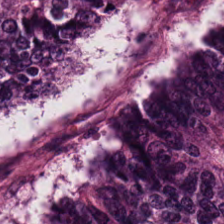The tissue is colorectal adenocarcinoma epithelium.
